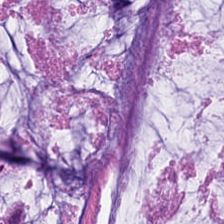Brightfield microscopy; 224×224 px patch; H&E stain — Q: What is the predominant tissue type?
A: It is mucus.
